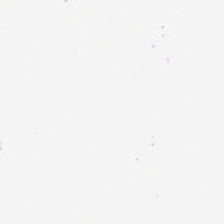FFPE. WSI patch. H&E. Q: What does this patch show?
A: The field shows background (no tissue).
